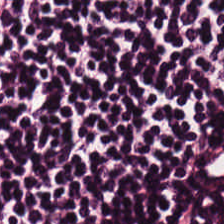Impression — lymphoid infiltrate.
